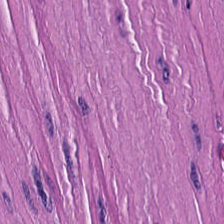H&E stain. 0.5 µm per pixel. 224×224 px tile — Q: What is the predominant tissue type?
A: The field shows smooth-muscle tissue.
